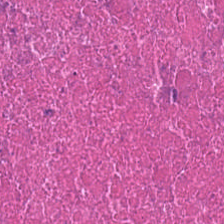224×224 pixel tile · hematoxylin and eosin.
Predominantly necrotic debris.
